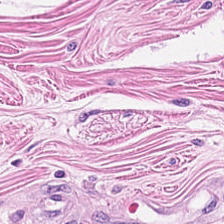H&E-stained tissue section — Tissue type — muscularis.
